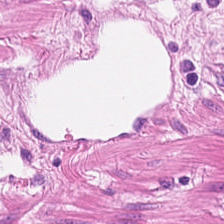H&E-stained tissue section · 224×224 pixel tile — Showing muscularis.
